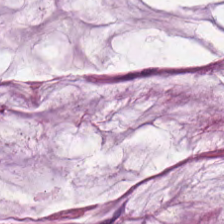Q: What does this patch show?
A: It is mucus.
